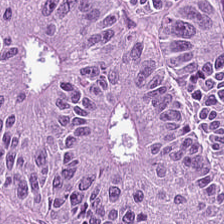Formalin-fixed paraffin-embedded section; whole-slide-image patch; H&E-stained tissue section.
Adenocarcinoma.
